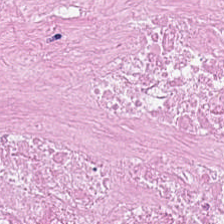H&E-stained tissue section — Tissue type = cellular debris.
